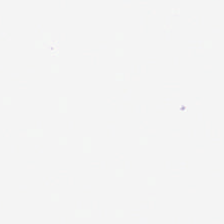Hematoxylin-and-eosin stained section. This field is background (no tissue).
